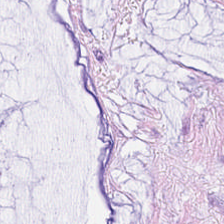0.5 µm/px; hematoxylin-and-eosin stained section; WSI patch — Q: Identify the tissue.
A: It is mucin.
